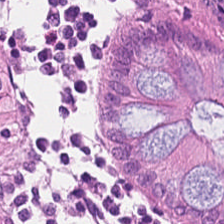FFPE; H&E-stained tissue section.
Tissue type: benign colonic mucosa.
